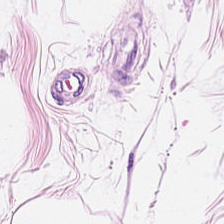Hematoxylin-and-eosin stained section.
Tissue type: fat tissue.
